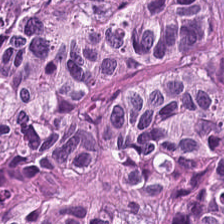H&E; 0.5 µm per pixel; formalin-fixed paraffin-embedded section — Tissue type: malignant epithelium.
